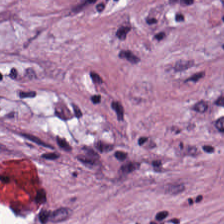Q: Identify the tissue.
A: It is cancer-associated stroma.
